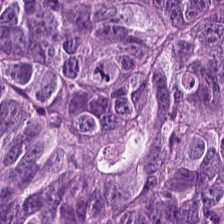Hematoxylin and eosin · 0.5 µm per pixel · FFPE.
Tissue type = colorectal adenocarcinoma.
